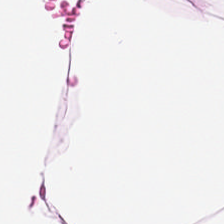H&E stain; 224×224 px patch; FFPE.
The tissue class is adipose tissue.
